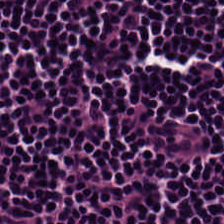Tissue — lymphocytes.
